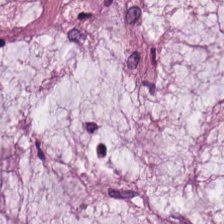Hematoxylin-and-eosin stained section.
{"tissue_type": "extracellular mucin"}
